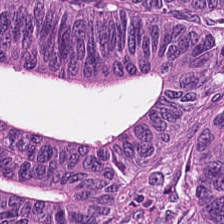Hematoxylin-and-eosin stained section. This field is colorectal adenocarcinoma.
